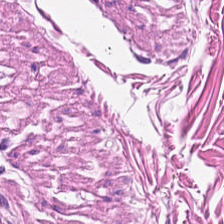H&E · 224×224 px patch — Predominantly muscularis.
